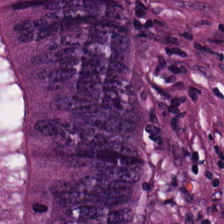Stain: hematoxylin and eosin.
Classification: malignant epithelium.
